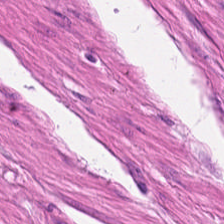Stain: hematoxylin-and-eosin stained section.
Tissue type: smooth-muscle tissue.
